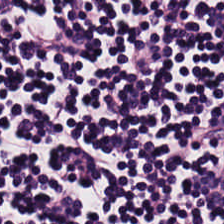H&E-stained tissue section — Q: Identify the tissue.
A: It is lymphocytes.
